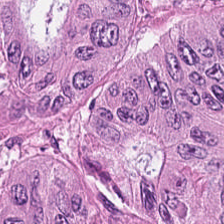H&E. 224×224 px patch. Showing tumor epithelium.
